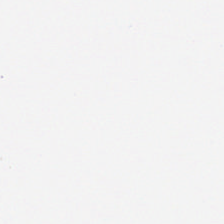Brightfield microscopy · H&E · FFPE tissue section — Histology — background.
